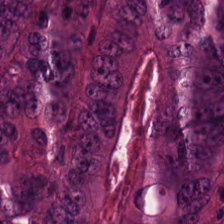Hematoxylin-and-eosin stained section — Finding → colorectal adenocarcinoma epithelium.
